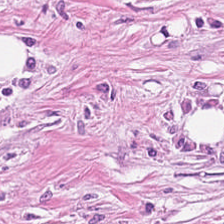Stain: H&E stain.
Predominant tissue: cancer-associated stroma.
